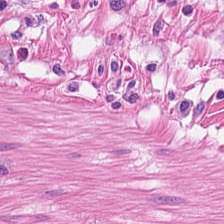H&E stain — {"tissue_type": "smooth-muscle tissue"}
